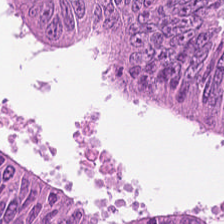Stain: hematoxylin-and-eosin stained section.
Acquisition: whole-slide-image patch.
Predominant tissue: tumor epithelium.
